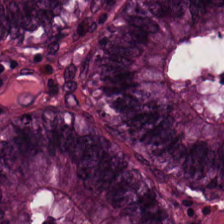H&E-stained tissue section.
Non-neoplastic colon mucosa.
